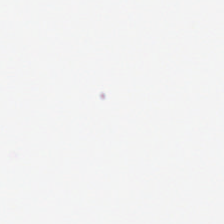FFPE tissue section. Hematoxylin and eosin.
Classification — background.
